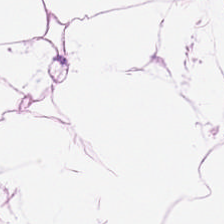H&E — adipose tissue.
